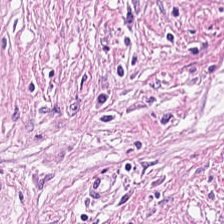Stain: H&E.
Acquisition: whole-slide-image patch.
Preparation: formalin-fixed paraffin-embedded section.
Tissue: cancer-associated stroma.
